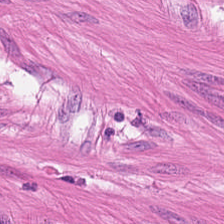H&E stain. This field is muscularis.
